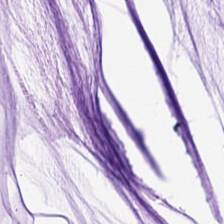224×224 pixel tile. H&E stain. 0.5 microns per pixel — Extracellular mucin.
